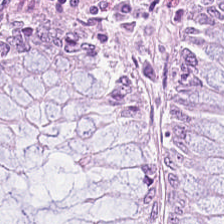Hematoxylin and eosin.
The tissue type is normal colon mucosa.
